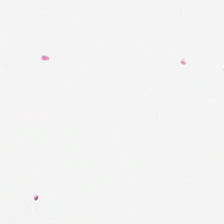The content is empty background.
